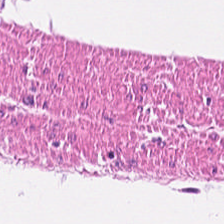H&E-stained tissue section — Q: Identify the tissue.
A: Smooth-muscle tissue.
